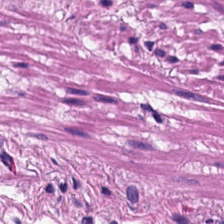H&E. Tissue type — smooth muscle.
